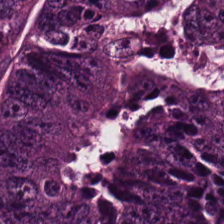H&E. Predominantly colorectal adenocarcinoma.
